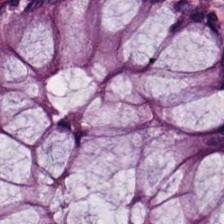H&E-stained tissue section · 224×224 px patch · brightfield microscopy — Showing normal colon mucosa.
